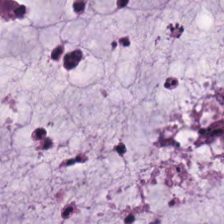Hematoxylin-and-eosin stained section — Predominant tissue — mucus.
